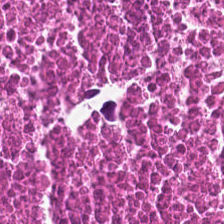224×224 pixel tile. Hematoxylin-and-eosin stained section. Showing necrotic debris.
